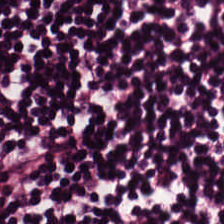H&E-stained tissue section — Q: What tissue is shown?
A: It is lymphocytes.
